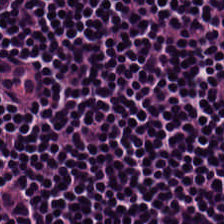H&E-stained tissue section.
The tissue type is lymphocytes.
